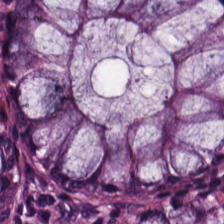Hematoxylin-and-eosin stained section. 224×224 px patch. WSI patch — Tissue type: benign colonic mucosa.
